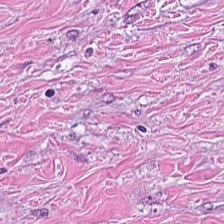H&E. The predominant tissue is tumor-associated stroma.
